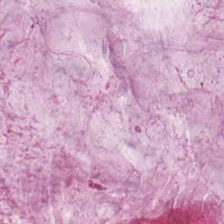H&E stain. Q: What tissue is shown?
A: It is extracellular mucin.
